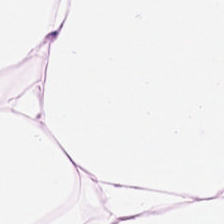Adipose.
